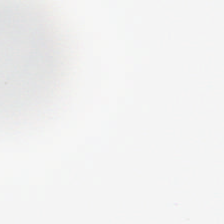20× equivalent magnification; 224×224 px tile; H&E.
Background — no tissue in this field.
